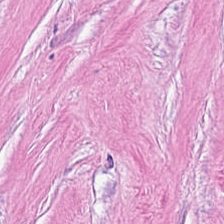0.5 µm per pixel. 224×224 px tile. H&E stain.
Q: What is shown here?
A: Desmoplastic stroma.
